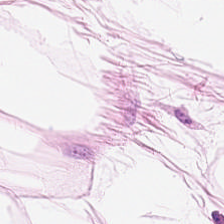Impression → adipose tissue.
